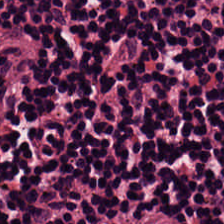Hematoxylin and eosin; FFPE tissue section.
Lymphocytes.
